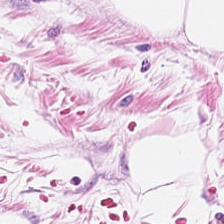H&E-stained tissue section.
Tissue type — fat tissue.
